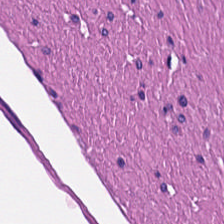H&E-stained tissue section · FFPE tissue section · brightfield microscopy.
Showing smooth-muscle tissue.
